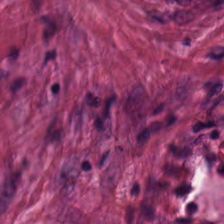H&E.
Tissue class = tumor-associated stroma.
